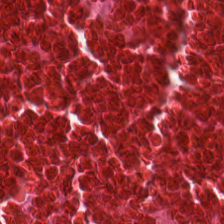224×224 pixel tile · H&E-stained tissue section · brightfield.
This patch shows debris.
